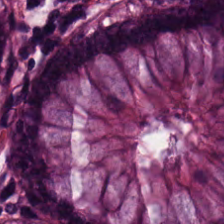H&E-stained tissue section · 224×224 px tile.
The tissue here is non-neoplastic colon mucosa.
